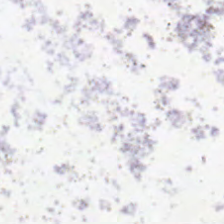WSI patch; hematoxylin and eosin.
This patch shows background.
